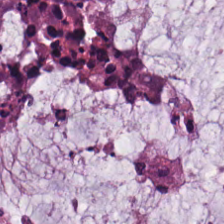H&E-stained tissue section — Impression → mucus.
